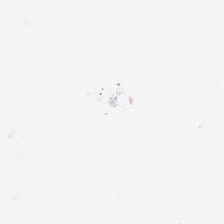20× equivalent magnification; H&E-stained tissue section; 224×224 px patch — Q: What is shown here?
A: The field shows background (no tissue).
